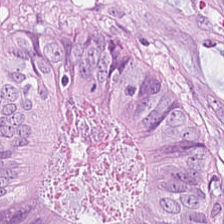0.5 µm per pixel; hematoxylin and eosin.
Predominantly colorectal adenocarcinoma epithelium.
